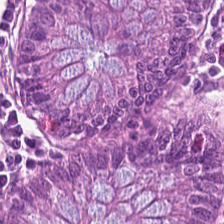224×224 pixel tile; H&E.
Q: What is shown in this field?
A: It is normal colon mucosa.
